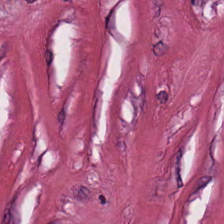H&E stain. This patch shows tumor-associated stroma.
